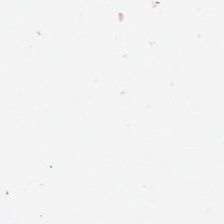H&E stain. 20× equivalent magnification — Field content: empty background.
